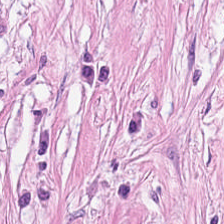H&E-stained tissue section. Whole-slide-image patch. Predominantly tumor-associated stroma.
